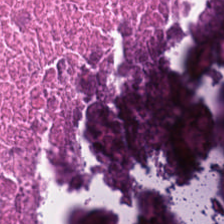FFPE tissue section · H&E stain · 224×224 pixel tile — Tissue type — cellular debris.
